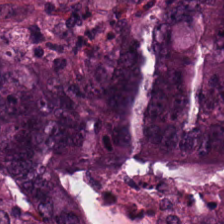Hematoxylin-and-eosin stained section · formalin-fixed paraffin-embedded section.
The tissue class is malignant epithelium.
